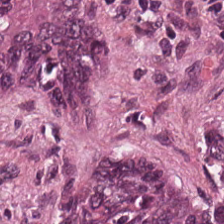Tissue class = tumor epithelium.
